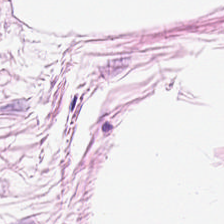FFPE tissue section; hematoxylin and eosin. The predominant tissue is adipose.
